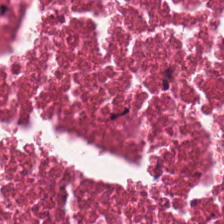Hematoxylin and eosin. Q: What is the predominant tissue type?
A: Cellular debris.
